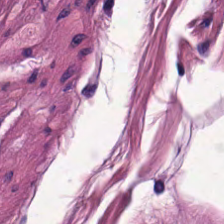The predominant tissue is muscularis.
